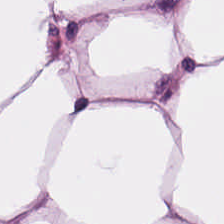H&E.
Predominantly adipocytes.
